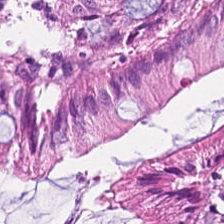Stain: H&E.
Predominant tissue: non-neoplastic colon mucosa.
